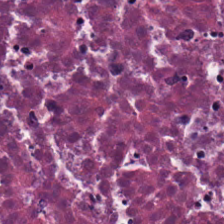224×224 pixel tile. H&E-stained tissue section.
The tissue is debris.
